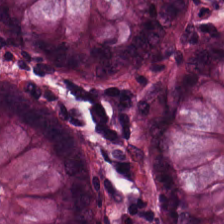Finding → benign colonic mucosa.
